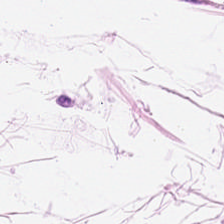H&E · 0.5 microns per pixel · FFPE tissue section — Finding — fat tissue.
